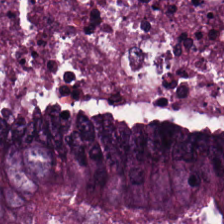This field is tumor epithelium.
